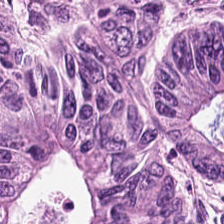{"tissue_type": "colorectal adenocarcinoma"}
